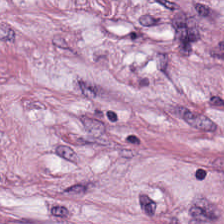Hematoxylin-and-eosin stained section. Classification: desmoplastic stroma.
